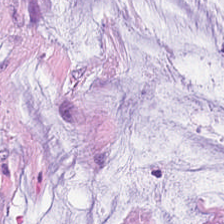H&E-stained tissue section; 20× equivalent magnification.
Classification — mucin.
